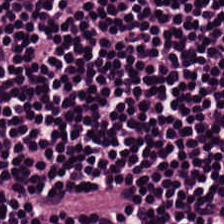Stain: H&E stain.
Preparation: FFPE tissue section.
Tissue class: lymphocytic infiltrate.
